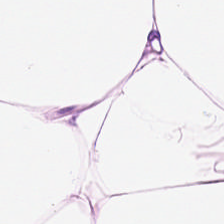H&E.
{"tissue_type": "adipose tissue"}
